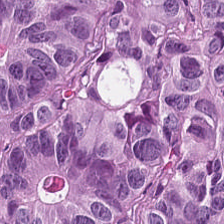Stain: hematoxylin and eosin.
Tissue type: tumor epithelium.
